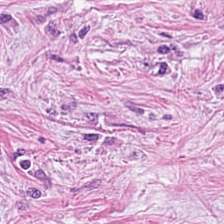0.5 microns per pixel; H&E stain; FFPE tissue section.
Tissue class — tumor stroma.
